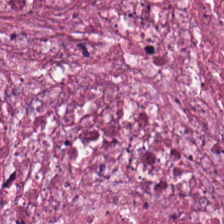Hematoxylin-and-eosin stained section.
The classification is cellular debris.
